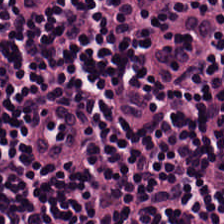Q: What tissue type is shown here?
A: This is lymphocytic infiltrate.
